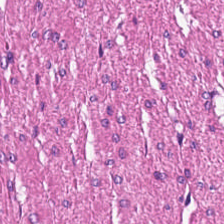FFPE. H&E-stained tissue section. 224×224 pixel tile — Tissue = smooth muscle.
